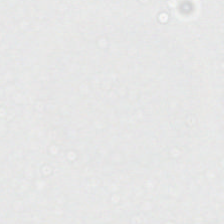Hematoxylin-and-eosin stained section. Content: no tissue.
